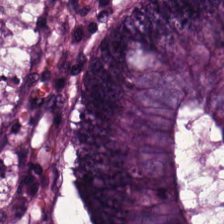H&E stain — Q: Identify the tissue.
A: This is tumor epithelium.
